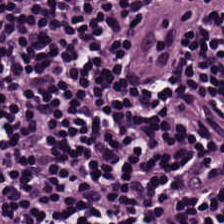224×224 px patch · H&E-stained tissue section · 0.5 microns per pixel — This patch shows lymphocyte aggregate.
